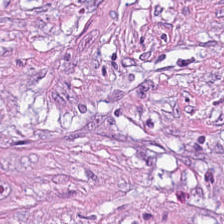H&E stain.
Q: What is shown here?
A: Desmoplastic stroma.
